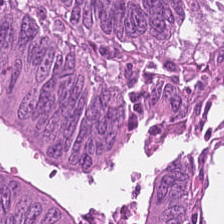Brightfield; hematoxylin-and-eosin stained section.
Classification: colorectal adenocarcinoma.
